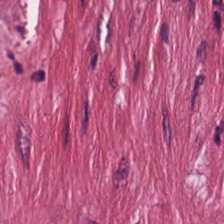H&E-stained tissue section — Tissue type: desmoplastic stroma.
